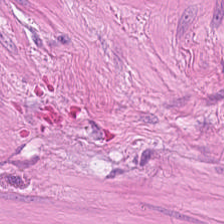H&E stain. Brightfield. 20× equivalent magnification.
Q: What type of tissue is this?
A: The field shows smooth-muscle tissue.
